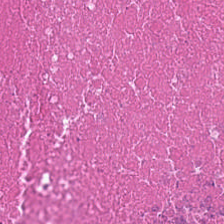Formalin-fixed paraffin-embedded section · brightfield microscopy · H&E stain. Q: Identify the tissue.
A: Cellular debris.
